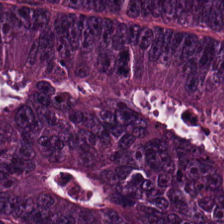Histology — colorectal adenocarcinoma epithelium.
